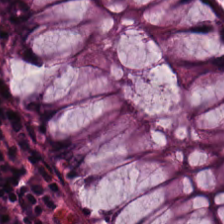Hematoxylin and eosin · 0.5 µm/px.
Tissue — normal colonic mucosa.
